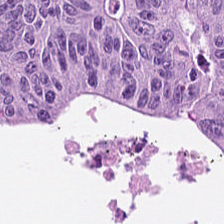FFPE tissue section · 0.5 microns per pixel · H&E stain. Predominant tissue = malignant epithelium.
